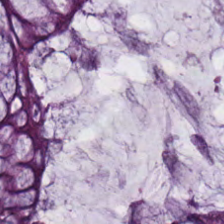Hematoxylin and eosin — This field is normal colon mucosa.
